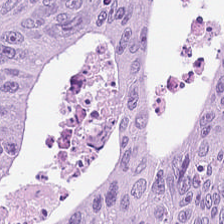H&E.
The tissue here is malignant epithelium.
